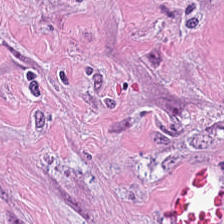Q: What is the predominant tissue type?
A: The field shows tumor-associated stroma.
